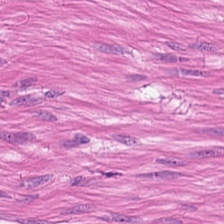{"tissue_type": "smooth-muscle tissue"}
